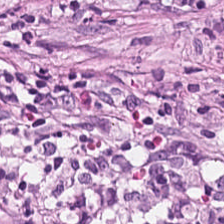Stain: H&E stain.
Tissue class: tumor-associated stroma.
